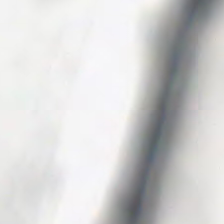H&E. Field content = no tissue.
